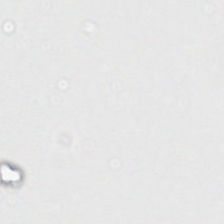Stain: H&E-stained tissue section.
Resolution: 0.5 microns per pixel.
Tile size: 224×224 pixel tile.
Classification: empty background.
